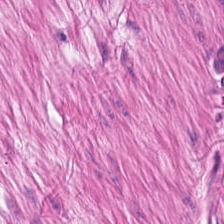Stain: H&E-stained tissue section.
Predominant tissue: smooth-muscle tissue.
